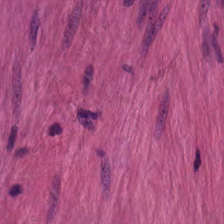Tissue — muscularis.
